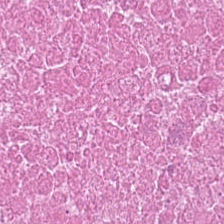Tissue class = necrotic debris.
